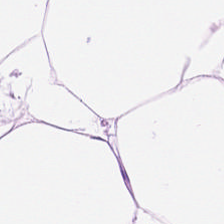H&E; 20× equivalent magnification; 224×224 px tile.
This field is fat tissue.
